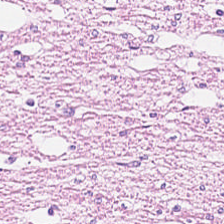224×224 pixel tile; 0.5 µm per pixel; hematoxylin-and-eosin stained section. This field is smooth-muscle tissue.
